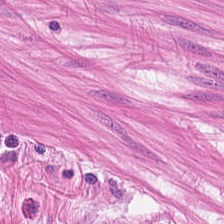H&E-stained tissue section.
Q: What is shown here?
A: Smooth-muscle tissue.
